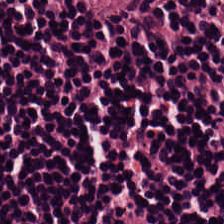Hematoxylin-and-eosin stained section · formalin-fixed paraffin-embedded section. {"tissue_type": "lymphoid infiltrate"}
